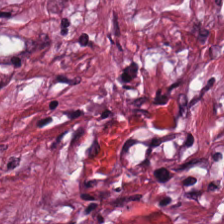Hematoxylin and eosin — Q: What tissue type is shown here?
A: The field shows desmoplastic stroma.
